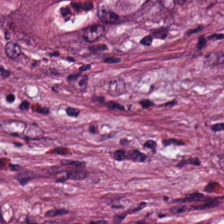Hematoxylin-and-eosin section: tumor-associated stroma.
